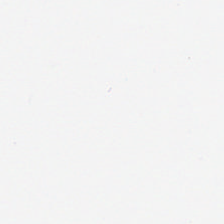Stain: H&E-stained tissue section.
Content: background (no tissue).
